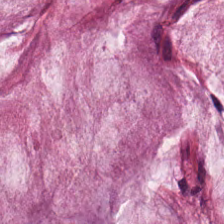224×224 px tile. H&E-stained tissue section — The predominant tissue is mucus.
